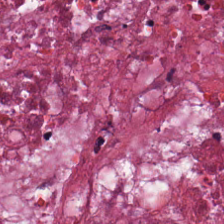20× equivalent magnification · hematoxylin and eosin. Q: What tissue is shown?
A: The field shows debris.
